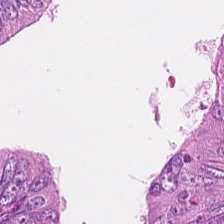H&E-stained section; the field shows colorectal adenocarcinoma epithelium.
